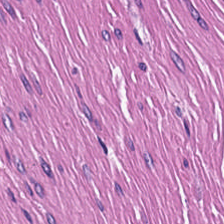The tissue type is smooth muscle.
